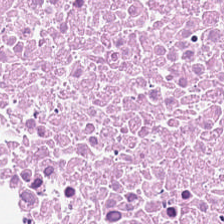FFPE tissue section · H&E-stained tissue section · 224×224 px patch — Histology → cellular debris.
